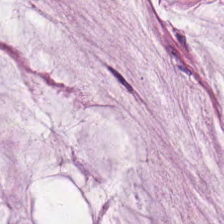Hematoxylin-and-eosin stained section — Impression — mucus.
